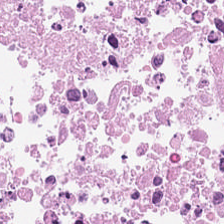Hematoxylin-and-eosin stained section · 224×224 px tile.
The tissue here is necrotic debris.
